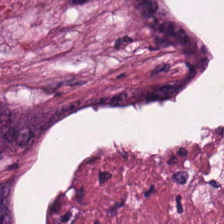H&E-stained section; the field shows cellular debris.
